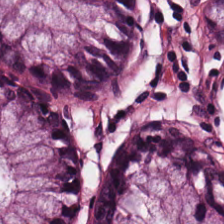Hematoxylin and eosin · 0.5 microns per pixel · FFPE tissue section.
Q: Classify this patch.
A: This is benign colonic mucosa.
